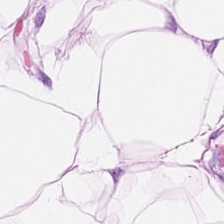Q: What does this patch show?
A: Fat tissue.
